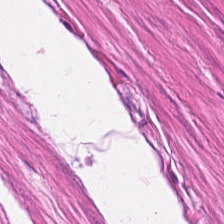Histology → smooth muscle.
